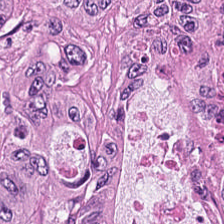Brightfield. Hematoxylin and eosin.
Showing colorectal adenocarcinoma epithelium.
